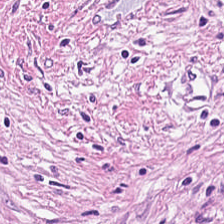H&E-stained tissue section — Showing tumor stroma.
